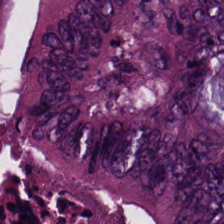Impression → malignant epithelium.
